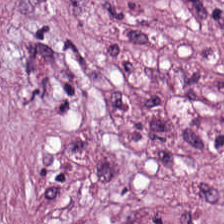{"tissue_type": "desmoplastic stroma"}
